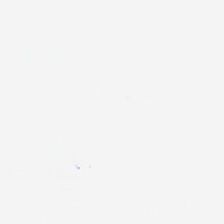0.5 µm/px · H&E stain.
Q: What is shown in this field?
A: This is empty background.
